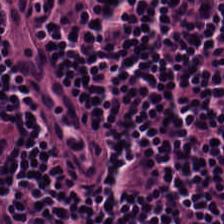224×224 pixel tile. Whole-slide-image patch. H&E stain. Q: What is shown in this field?
A: This is lymphocyte aggregate.
